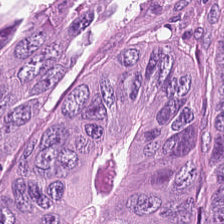FFPE tissue section. 224×224 px tile. Hematoxylin-and-eosin stained section. The predominant tissue is colorectal adenocarcinoma epithelium.
